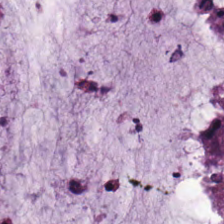224×224 px patch; H&E. Classification = extracellular mucin.
